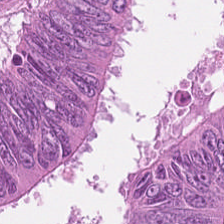H&E — Showing colorectal adenocarcinoma epithelium.
